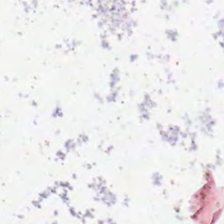H&E stain.
This field is background (no tissue).
